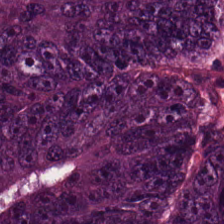H&E — This patch shows colorectal adenocarcinoma.
